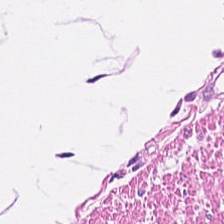Hematoxylin-and-eosin stained section — Showing muscularis.
